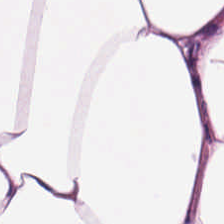H&E.
The predominant tissue is adipose.
